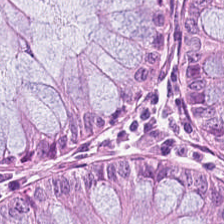H&E patch showing non-neoplastic colon mucosa.
